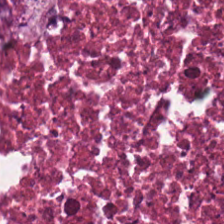H&E-stained tissue section · FFPE tissue section · brightfield. {"tissue_type": "cellular debris"}
